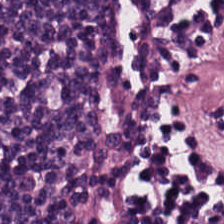Stain: H&E-stained tissue section.
Tissue class: lymphocytic infiltrate.
